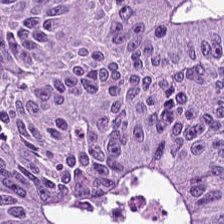The tissue type is colorectal adenocarcinoma epithelium.
